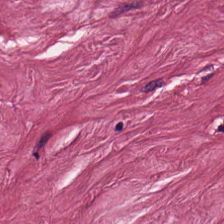Hematoxylin and eosin. Q: What is shown here?
A: The field shows cancer-associated stroma.
